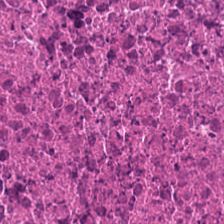Whole-slide-image patch; H&E-stained tissue section; FFPE tissue section.
Q: What is the predominant tissue type?
A: It is debris.
